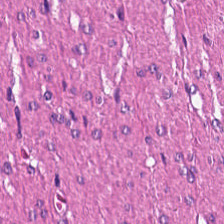H&E stain — Tissue = smooth muscle.
